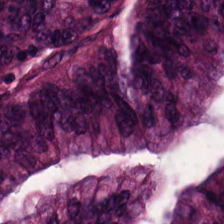224×224 px tile. Hematoxylin and eosin.
Malignant epithelium.
